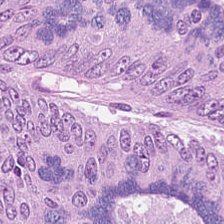H&E. Q: What type of tissue is this?
A: Malignant epithelium.
